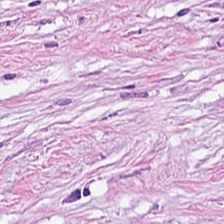H&E-stained section; the field shows tumor stroma.
